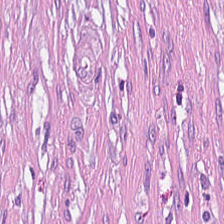Hematoxylin and eosin. {"tissue_type": "desmoplastic stroma"}
